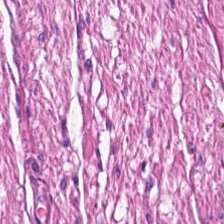H&E stain. 0.5 microns per pixel.
Q: What tissue is shown?
A: It is smooth-muscle tissue.
